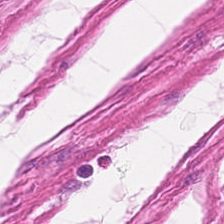Hematoxylin and eosin.
Muscularis.
